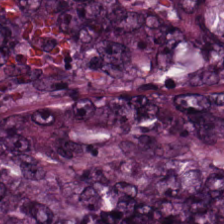{"tissue_type": "colorectal adenocarcinoma epithelium"}
